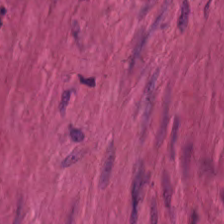Showing smooth muscle.
